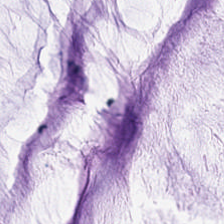H&E stain. Formalin-fixed paraffin-embedded section. Brightfield — Predominantly mucin.
